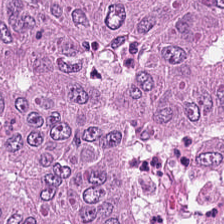Hematoxylin-and-eosin stained section. The tissue here is adenocarcinoma.
